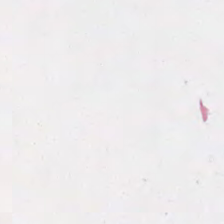FFPE tissue section; H&E-stained tissue section. Classification = empty background.
